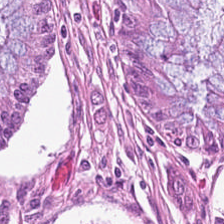H&E-stained tissue section. Non-neoplastic colon mucosa.
